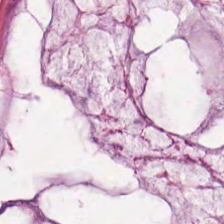{"tissue_type": "extracellular mucin"}
